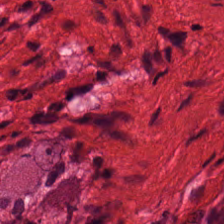H&E — Finding — muscularis.
